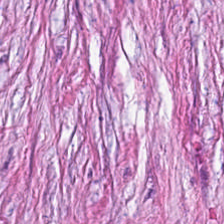20× equivalent magnification; H&E-stained tissue section; 224×224 px patch — Tissue — cancer-associated stroma.
